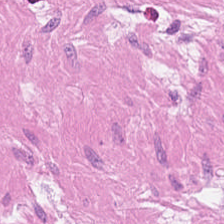H&E stain.
The tissue here is muscularis.
